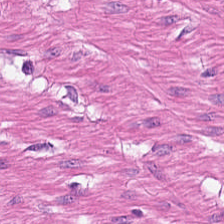Stain: H&E stain.
Preparation: FFPE.
Acquisition: brightfield.
Tissue: smooth-muscle tissue.
